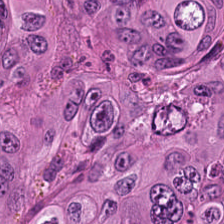Tissue: malignant epithelium.
